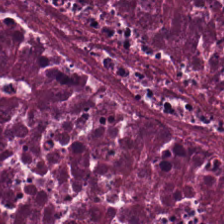H&E stain — Predominant tissue — necrotic debris.
